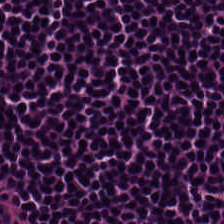H&E stain. Predominant tissue: lymphocytic infiltrate.
